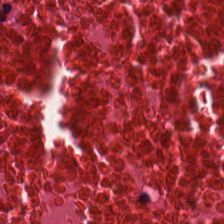{"tissue_type": "cellular debris"}
